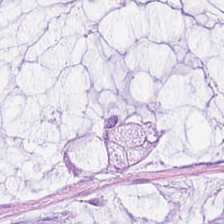H&E-stained tissue section · FFPE — Tissue type = mucus.
